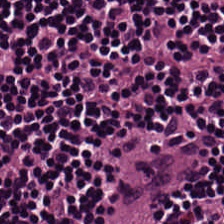H&E. {"tissue_type": "lymphocyte aggregate"}
